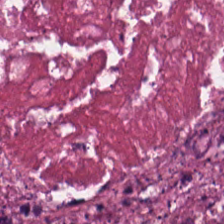Showing cellular debris.
